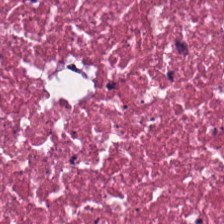0.5 µm per pixel · hematoxylin and eosin · 224×224 px tile — Tissue class = debris.
